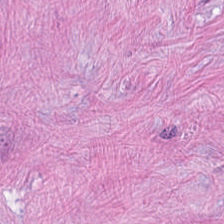Classification — desmoplastic stroma.
